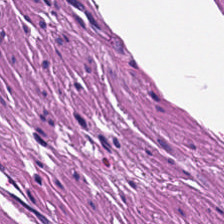Predominant tissue — muscularis.
